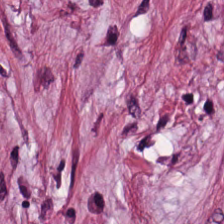FFPE tissue section · hematoxylin-and-eosin stained section.
Histology → tumor-associated stroma.
